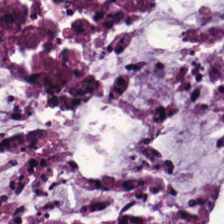H&E — This patch shows extracellular mucin.
